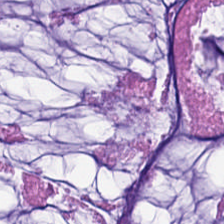Hematoxylin-and-eosin stained section. Finding — mucin.
